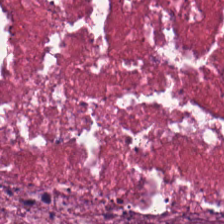Hematoxylin-and-eosin stained section. Finding — debris.
